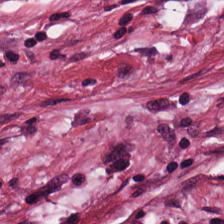Classification: desmoplastic stroma.
